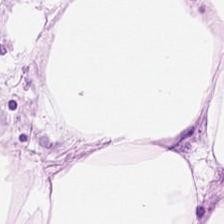Hematoxylin-and-eosin stained section — This patch shows fat tissue.
